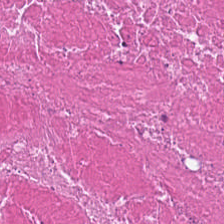Hematoxylin and eosin · whole-slide-image patch — Q: What does this patch show?
A: The field shows necrotic debris.
